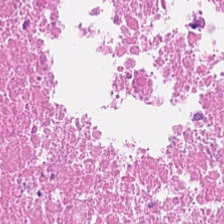Hematoxylin and eosin · FFPE tissue section · brightfield microscopy.
{"tissue_type": "cellular debris"}
